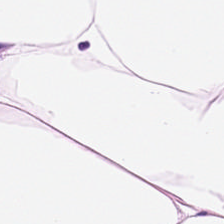H&E — Tissue — fat tissue.
